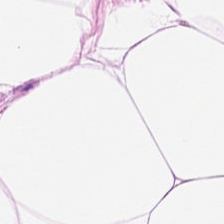0.5 µm per pixel; 224×224 px tile; hematoxylin and eosin.
{"tissue_type": "fat tissue"}
